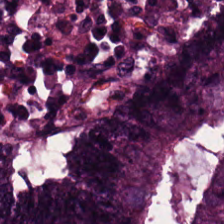FFPE · H&E · whole-slide-image patch. This field is colorectal adenocarcinoma epithelium.
